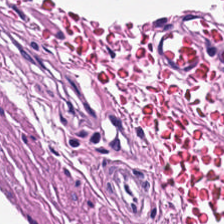H&E stain. Q: Identify the tissue.
A: Muscularis.
